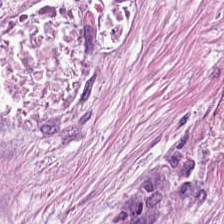H&E. Cancer-associated stroma.
